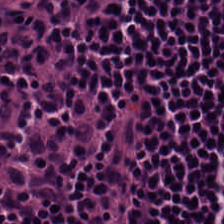Stain: hematoxylin and eosin.
Tissue: lymphocyte aggregate.
